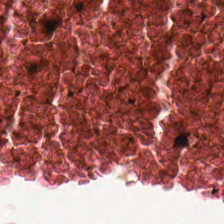Hematoxylin-and-eosin stained section; 224×224 pixel tile; brightfield — Predominant tissue: necrotic debris.
